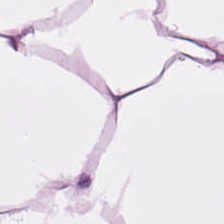The predominant tissue is fat tissue.
